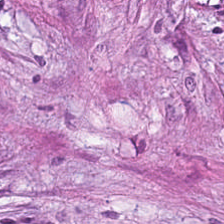H&E. This patch shows tumor-associated stroma.
